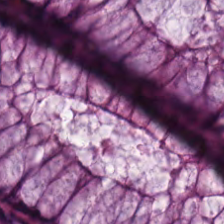WSI patch · 0.5 µm/px · H&E-stained tissue section. Tissue = benign colonic mucosa.
